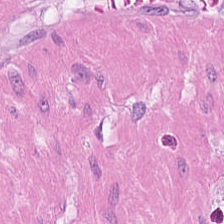H&E-stained tissue section · 224×224 px patch.
Muscularis.
